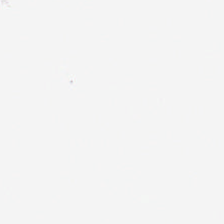224×224 px patch · H&E. Background — no tissue in this field.
